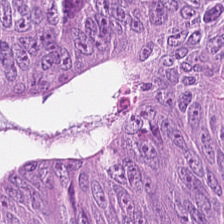H&E stain — Tissue type: adenocarcinoma.
